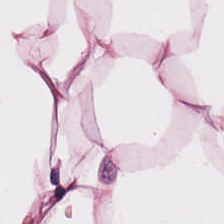Hematoxylin and eosin · brightfield · FFPE tissue section. Finding — fat tissue.
